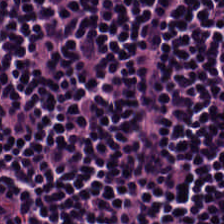H&E-stained tissue section.
This field is lymphocyte aggregate.
